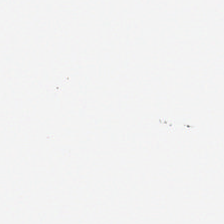Stain: H&E.
Tile size: 224×224 pixel tile.
Field content: background.
